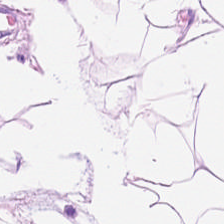Hematoxylin and eosin. 0.5 microns per pixel. Q: What tissue type is shown here?
A: This is adipose tissue.
